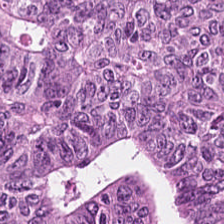Finding — tumor epithelium.
